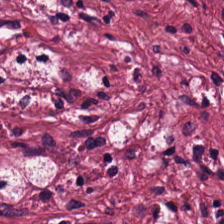Hematoxylin-and-eosin stained section. Predominantly tumor-associated stroma.
